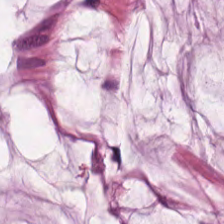H&E · 224×224 px patch · 20× equivalent magnification. Q: What is shown in this field?
A: The field shows extracellular mucin.
